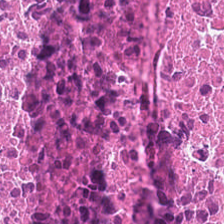H&E patch showing cellular debris.
